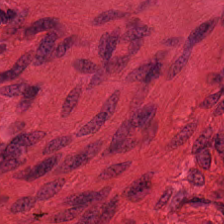224×224 pixel tile · hematoxylin and eosin — Histology — smooth muscle.
